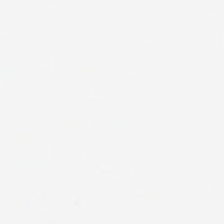H&E.
Content: no tissue.
